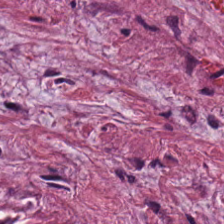H&E-stained tissue section — Cancer-associated stroma.
